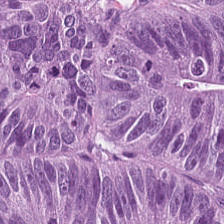Hematoxylin-and-eosin stained section. 20× equivalent magnification. Tissue type: colorectal adenocarcinoma.
